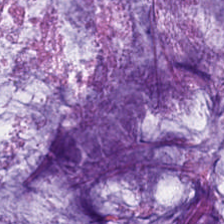Predominantly mucin.
